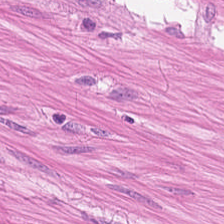Q: What is shown in this field?
A: The field shows muscularis.
